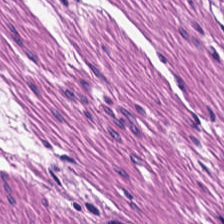Hematoxylin and eosin · 224×224 px tile — Tissue class — smooth muscle.
